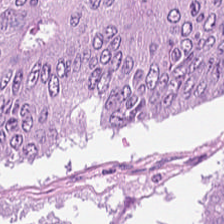Hematoxylin-and-eosin stained section. Tissue class — tumor epithelium.
